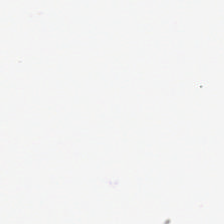Hematoxylin-and-eosin stained section. Brightfield. Q: What is shown here?
A: The field shows no tissue.
